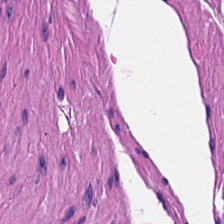H&E — Histology — smooth-muscle tissue.
